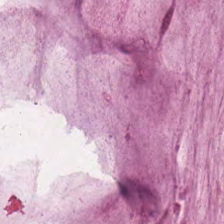Hematoxylin and eosin. The predominant tissue is mucin.
